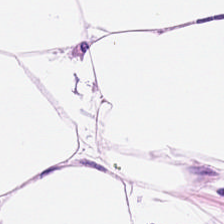H&E stain; FFPE — Q: What type of tissue is this?
A: This is adipocytes.
